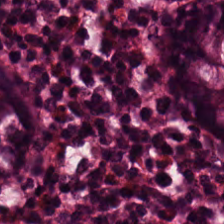Hematoxylin and eosin. Finding → normal colonic mucosa.
